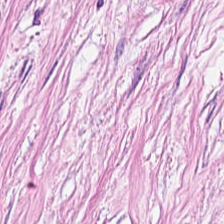Tissue type = desmoplastic stroma.
